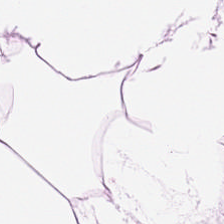FFPE. H&E stain — This field is adipose tissue.
